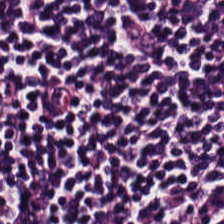H&E. This patch shows lymphocytic infiltrate.
